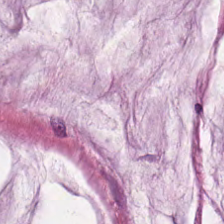WSI patch · 20× equivalent magnification · H&E stain. The predominant tissue is extracellular mucin.
